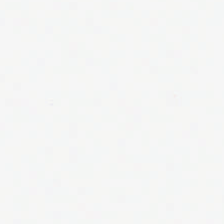0.5 µm/px. H&E-stained tissue section.
The classification is empty background.
